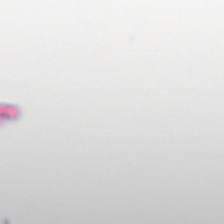Brightfield microscopy · H&E stain.
Field content: empty background.
